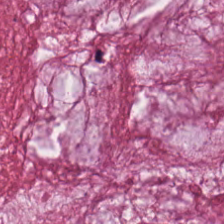H&E-stained tissue section — Mucus.
